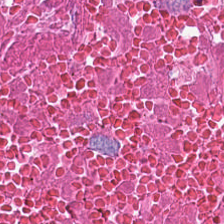H&E — Q: What type of tissue is this?
A: Debris.
